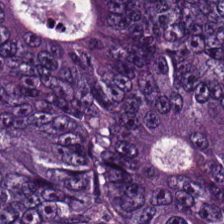Hematoxylin-and-eosin stained section — Impression — malignant epithelium.
